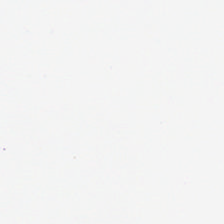Formalin-fixed paraffin-embedded section · hematoxylin and eosin — {"content": "no tissue"}
